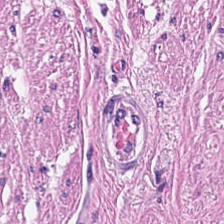Tissue type — muscularis.
